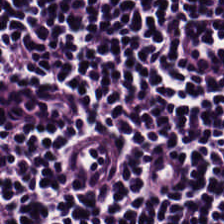Stain: H&E-stained tissue section.
Classification: lymphocytes.
